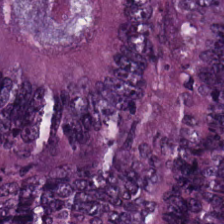H&E-stained tissue section; FFPE tissue section. This field is tumor epithelium.
